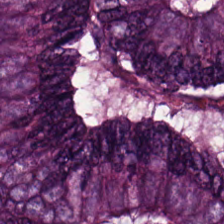The predominant tissue is tumor epithelium.
